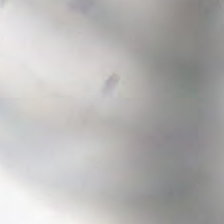H&E stain — Classification — empty background.
